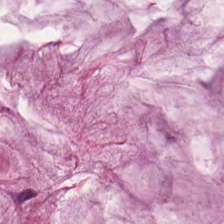Stain: hematoxylin and eosin.
Preparation: formalin-fixed paraffin-embedded section.
Tissue class: extracellular mucin.
